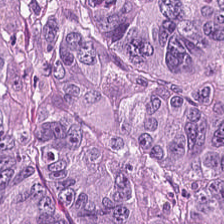The tissue type is adenocarcinoma.
